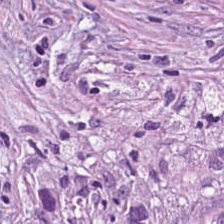Brightfield microscopy; H&E. Tumor-associated stroma.
